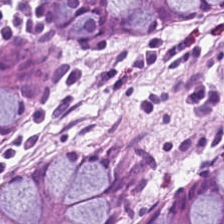The tissue class is normal colonic mucosa.
